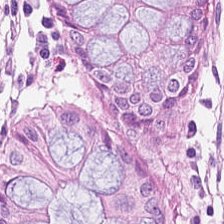Q: Classify this patch.
A: Normal colon mucosa.
